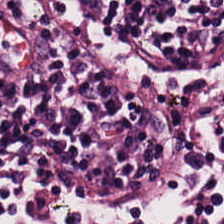Hematoxylin-and-eosin stained section. Tissue class = lymphocytes.
